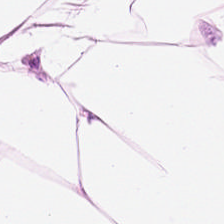Hematoxylin-and-eosin stained section. 224×224 px tile.
This patch shows fat tissue.
